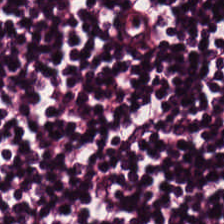224×224 px tile; brightfield; hematoxylin-and-eosin stained section — Histology → lymphocytes.
